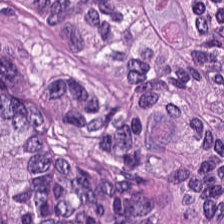Stain: hematoxylin and eosin.
Classification: colorectal adenocarcinoma epithelium.
